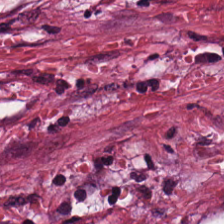FFPE tissue section · H&E stain · 224×224 px patch — The tissue here is desmoplastic stroma.
